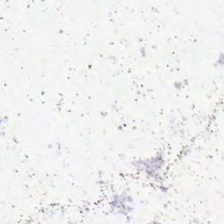Hematoxylin-and-eosin stained section; brightfield microscopy — Impression — background.
